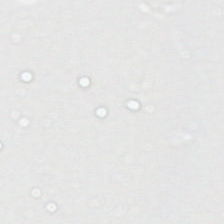No tissue present; background only.
